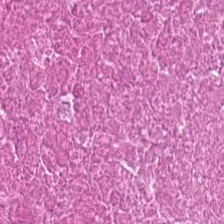Stain: hematoxylin and eosin.
Tissue: cellular debris.
